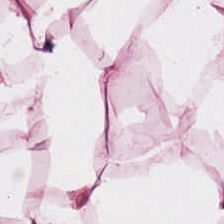Hematoxylin and eosin. Impression → adipose tissue.
